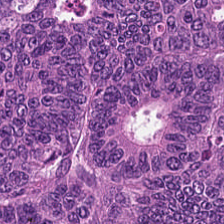Hematoxylin and eosin. {"tissue_type": "adenocarcinoma"}
